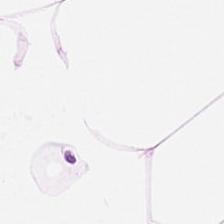H&E stain. Tissue class: adipocytes.
